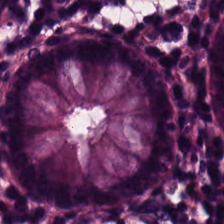Hematoxylin-and-eosin stained section · brightfield — Predominant tissue — benign colonic mucosa.
